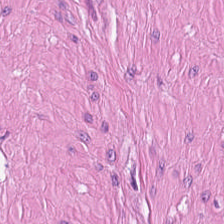Hematoxylin-and-eosin stained section; 0.5 microns per pixel; 224×224 pixel tile. Smooth-muscle tissue.
